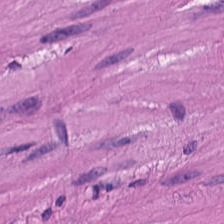224×224 pixel tile · H&E stain. {"tissue_type": "smooth muscle"}
